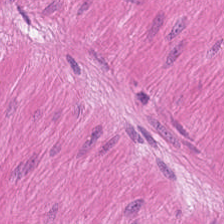224×224 px tile; whole-slide-image patch; H&E. Predominantly smooth-muscle tissue.
